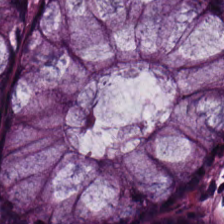Hematoxylin and eosin — Q: Classify this patch.
A: The field shows normal colon mucosa.
